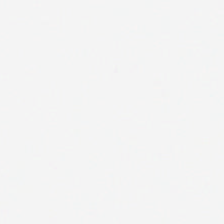Hematoxylin and eosin; FFPE tissue section. This field is background (no tissue).
